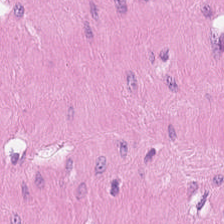Stain: H&E stain.
Tissue: smooth-muscle tissue.
